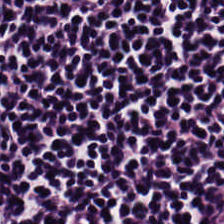H&E — Q: What is shown in this field?
A: Lymphocyte aggregate.
